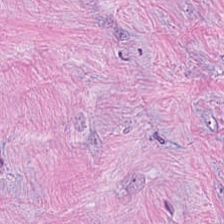FFPE; H&E stain; brightfield microscopy — {"tissue_type": "tumor stroma"}
